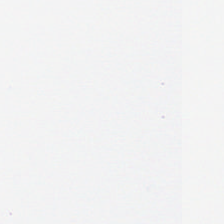224×224 px patch; hematoxylin and eosin; 0.5 µm per pixel — The field content is background.
